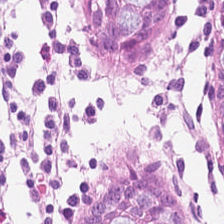Hematoxylin and eosin. 224×224 pixel tile. WSI patch. Tissue class: non-neoplastic colon mucosa.
